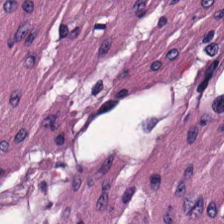H&E stain. Smooth-muscle tissue.
